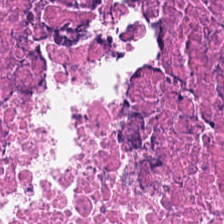Hematoxylin-and-eosin section: necrotic debris.
